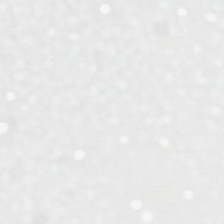224×224 pixel tile; H&E-stained tissue section; whole-slide-image patch. This patch shows background (no tissue).
